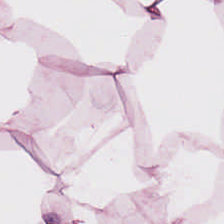H&E-stained tissue section. Brightfield microscopy.
Tissue class = fat tissue.
